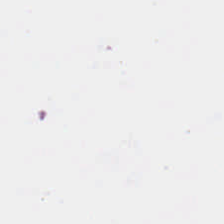Brightfield. H&E stain. Q: What is shown here?
A: It is empty background.
